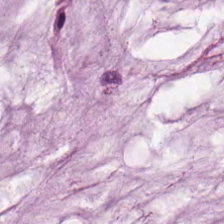H&E.
Classification — extracellular mucin.
